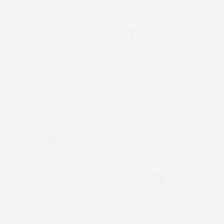H&E stain. FFPE tissue section.
Q: Classify this patch.
A: Background.
